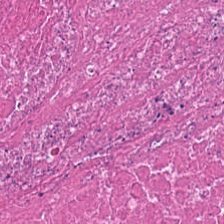Impression — cellular debris.
